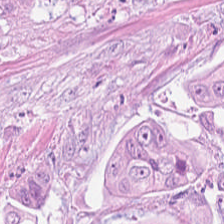Stain: H&E.
Acquisition: whole-slide-image patch.
Tissue type: adenocarcinoma.
